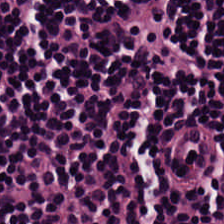224×224 px tile; brightfield; H&E-stained tissue section — This field is lymphocytic infiltrate.
